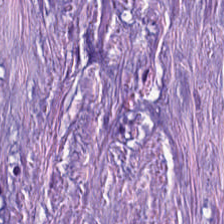Stain: H&E-stained tissue section.
Acquisition: brightfield.
Tissue: cancer-associated stroma.
